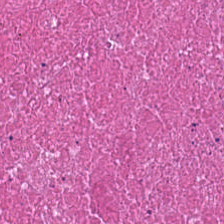Whole-slide-image patch. H&E. 224×224 px patch. Q: Classify this patch.
A: This is debris.
